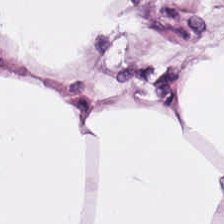WSI patch · H&E.
Showing adipose.
